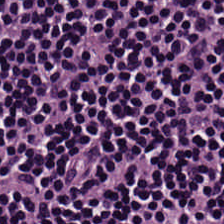Hematoxylin-and-eosin stained section.
The tissue here is lymphocytes.
